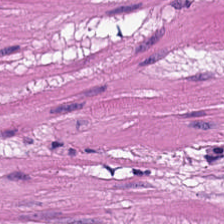Stain: hematoxylin-and-eosin stained section.
Acquisition: brightfield.
Tissue type: muscularis.
